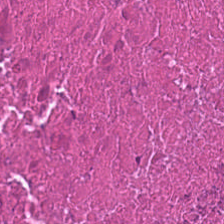Hematoxylin and eosin. Q: What is shown in this field?
A: This is necrotic debris.
